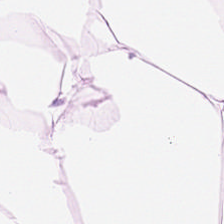Hematoxylin and eosin; 20× equivalent magnification. Predominantly adipose tissue.
